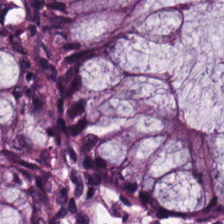H&E-stained tissue section — Non-neoplastic colon mucosa.
